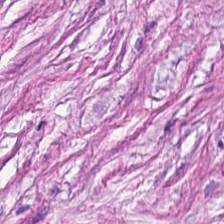The classification is tumor stroma.
